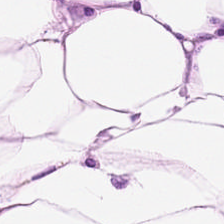H&E-stained tissue section; brightfield microscopy.
Predominantly fat tissue.
